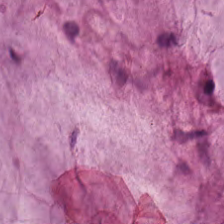H&E-stained tissue section. The tissue here is extracellular mucin.
